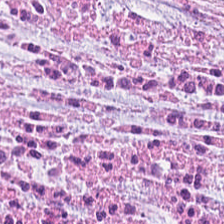H&E-stained tissue section showing tumor-associated stroma.
